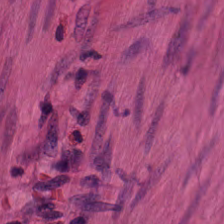This field is smooth-muscle tissue.
